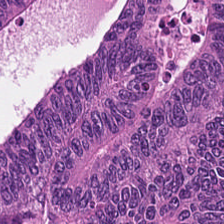H&E-stained tissue section.
The tissue here is tumor epithelium.
